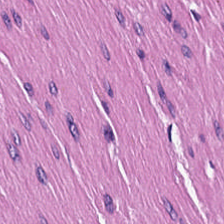Hematoxylin and eosin.
Showing muscularis.
